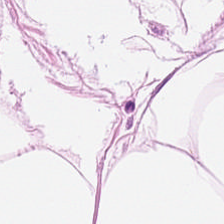H&E stain.
This field is fat tissue.
